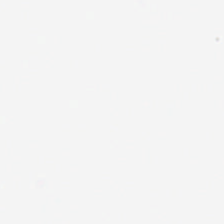H&E. Whole-slide-image patch. {"content": "background"}
